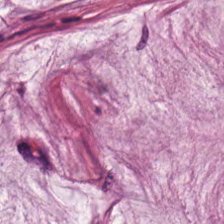FFPE · H&E stain.
Q: Classify this patch.
A: This is mucus.
